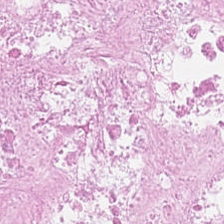Stain: hematoxylin and eosin.
Classification: debris.
